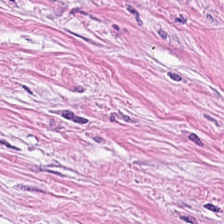FFPE; H&E-stained tissue section; 224×224 px tile. Q: What is shown in this field?
A: Tumor stroma.
